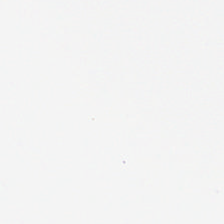This field is background (no tissue).
